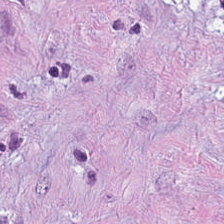Hematoxylin and eosin; brightfield; 20× equivalent magnification.
Impression — tumor stroma.
